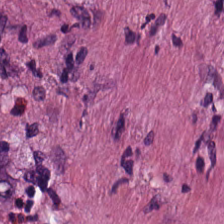Hematoxylin-and-eosin stained section. Whole-slide-image patch.
Predominant tissue: cancer-associated stroma.
